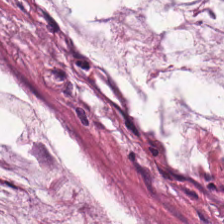Whole-slide-image patch; H&E; 0.5 microns per pixel. The predominant tissue is extracellular mucin.
